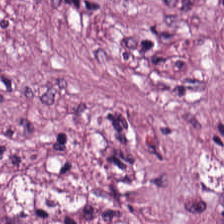0.5 µm/px · hematoxylin-and-eosin stained section · FFPE. Tissue class: cancer-associated stroma.
